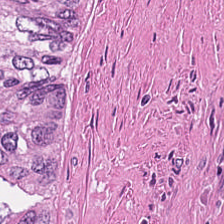Brightfield; hematoxylin and eosin.
This field is debris.
